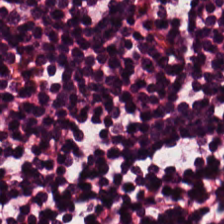Hematoxylin-and-eosin stained section. Predominant tissue — lymphocytes.
